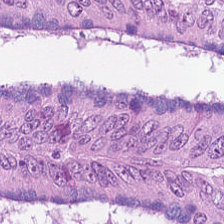Stain: H&E-stained tissue section.
Acquisition: brightfield.
Preparation: FFPE.
Tissue: adenocarcinoma.
